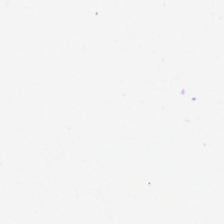H&E-stained tissue section. Q: What does this patch show?
A: This is no tissue.
